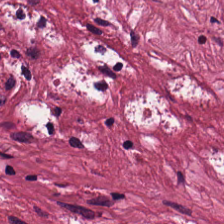Stain: H&E-stained tissue section.
Predominant tissue: desmoplastic stroma.
